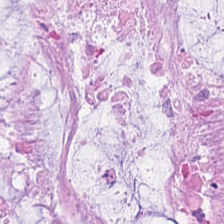FFPE; hematoxylin-and-eosin stained section; 0.5 µm per pixel.
Q: What is shown in this field?
A: The field shows mucus.
